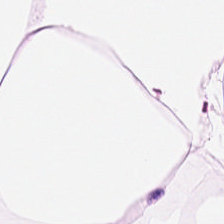Hematoxylin and eosin. Predominantly adipose.
